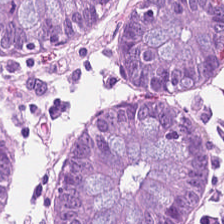This patch shows normal colonic mucosa.
